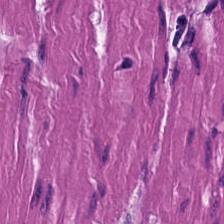Classification = smooth muscle.
